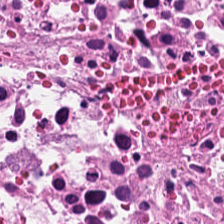0.5 microns per pixel. Hematoxylin and eosin. Q: What is shown here?
A: This is debris.
